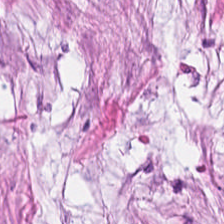Brightfield microscopy · H&E stain · 0.5 µm per pixel. {"tissue_type": "tumor-associated stroma"}
